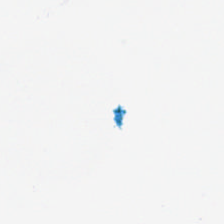H&E stain. Classification — empty background.
